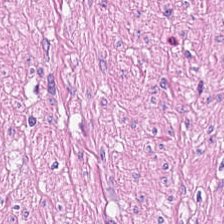H&E-stained tissue section showing smooth muscle.
